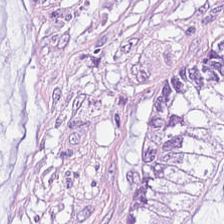Finding → mucus.
